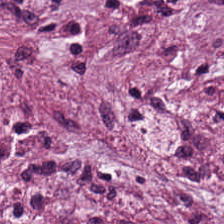FFPE. H&E stain.
This patch shows desmoplastic stroma.
